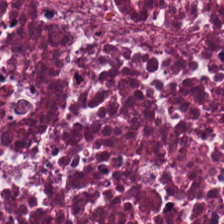224×224 px tile; hematoxylin-and-eosin stained section. Impression → necrotic debris.
